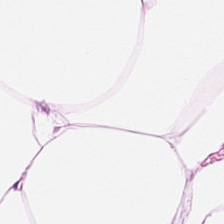20× equivalent magnification; whole-slide-image patch; hematoxylin-and-eosin stained section. Adipose tissue.
